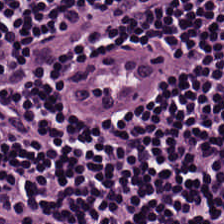The tissue type is lymphocytes.
